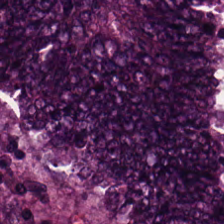FFPE tissue section; hematoxylin-and-eosin stained section. The tissue here is colorectal adenocarcinoma.
